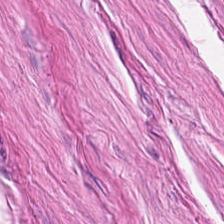0.5 µm/px · H&E stain — Classification = muscularis.
